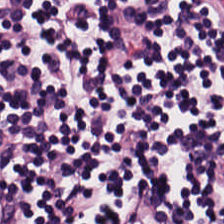Hematoxylin-and-eosin stained section.
Q: What is shown in this field?
A: This is lymphoid infiltrate.
